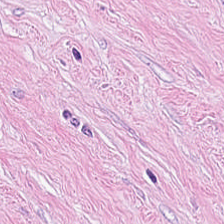H&E.
Q: Identify the tissue.
A: Cancer-associated stroma.
